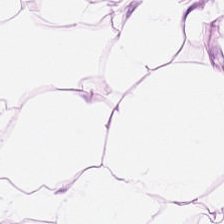0.5 µm per pixel · H&E — Impression → adipose.
